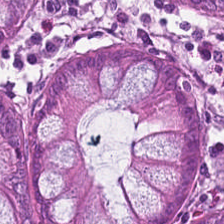FFPE tissue section · 224×224 pixel tile · H&E-stained tissue section — Finding — normal colon mucosa.
